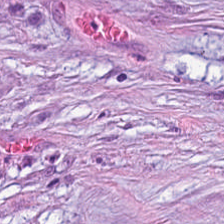Hematoxylin-and-eosin stained section. Classification — desmoplastic stroma.
